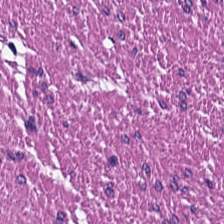Predominantly muscularis.
